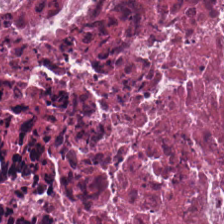Tissue type = necrotic debris.
